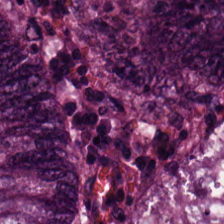Hematoxylin-and-eosin stained section.
The predominant tissue is colorectal adenocarcinoma.
